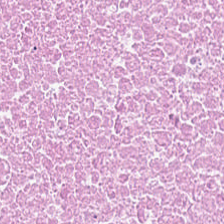{"tissue_type": "debris"}
